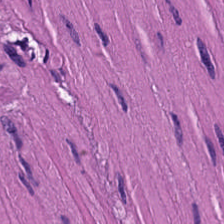Brightfield. FFPE tissue section. Hematoxylin and eosin.
Showing muscularis.
